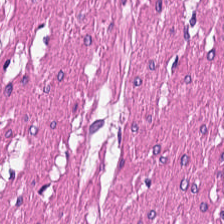Hematoxylin-and-eosin stained section. The predominant tissue is smooth muscle.
